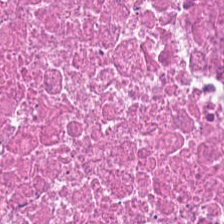Histology — cellular debris.
